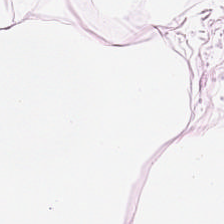The predominant tissue is adipocytes.
